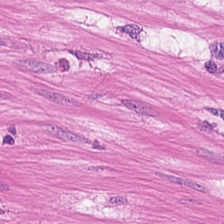Hematoxylin and eosin; 224×224 px patch; FFPE tissue section — Muscularis.
